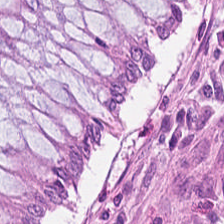H&E stain. Formalin-fixed paraffin-embedded section — Classification — benign colonic mucosa.
